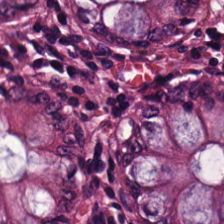Whole-slide-image patch · hematoxylin-and-eosin stained section. Finding — non-neoplastic colon mucosa.
